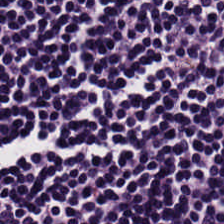Stain: hematoxylin-and-eosin stained section.
Acquisition: brightfield microscopy.
Tissue class: lymphoid infiltrate.
